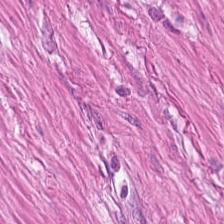0.5 µm/px. H&E stain. 224×224 pixel tile. The tissue here is smooth muscle.
